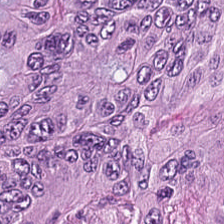Hematoxylin and eosin. Histology — adenocarcinoma.
